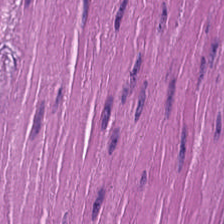0.5 µm/px; hematoxylin-and-eosin stained section — Q: What type of tissue is this?
A: The field shows smooth muscle.
